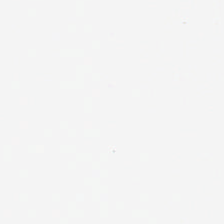FFPE tissue section. H&E-stained tissue section.
Background (no tissue).
